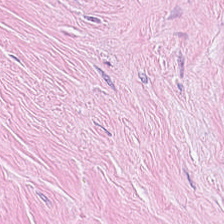H&E.
Tumor stroma.
